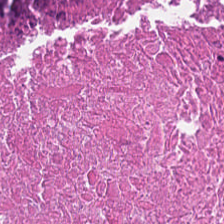0.5 microns per pixel · 224×224 pixel tile · hematoxylin-and-eosin stained section.
Debris.
